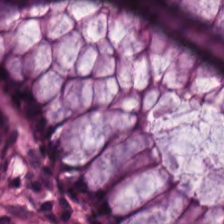H&E stain.
Tissue class: normal colonic mucosa.
